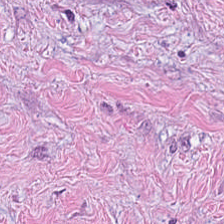Hematoxylin and eosin — Tissue: tumor stroma.
